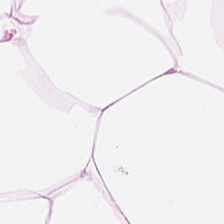H&E stain.
Q: Identify the tissue.
A: Adipose.
